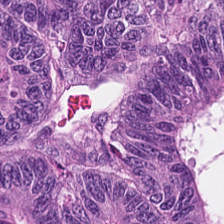H&E-stained tissue section. Showing colorectal adenocarcinoma.
